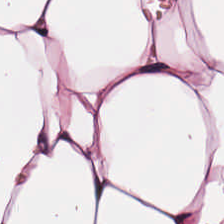H&E-stained tissue section · 0.5 microns per pixel. This patch shows adipose tissue.
